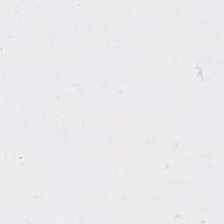Histology — background (no tissue).
